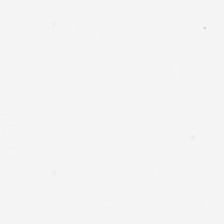H&E. This field is background (no tissue).
